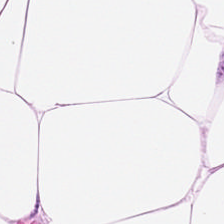Q: What type of tissue is this?
A: The field shows adipose.
